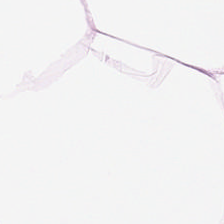Hematoxylin-and-eosin stained section · 224×224 px patch — The tissue is adipocytes.
